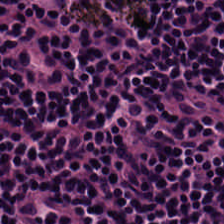Q: Classify this patch.
A: The field shows lymphocyte aggregate.
